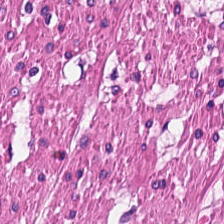Stain: H&E-stained tissue section.
Resolution: 20× equivalent magnification.
Tissue class: muscularis.
